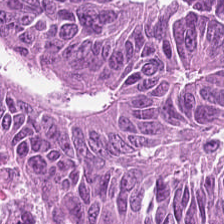Hematoxylin-and-eosin stained section · 20× equivalent magnification · formalin-fixed paraffin-embedded section.
The tissue is tumor epithelium.
